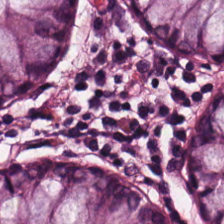H&E stain. {"tissue_type": "benign colonic mucosa"}
